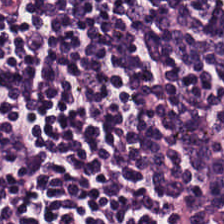H&E · 224×224 px patch · brightfield — The tissue class is lymphoid infiltrate.
